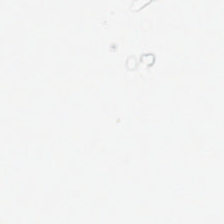Stain: hematoxylin-and-eosin stained section.
Field content: empty background.
